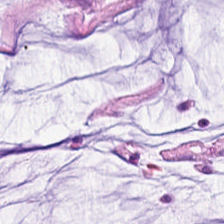H&E.
Finding — mucus.
